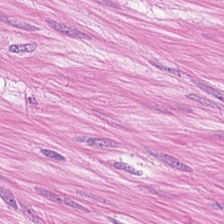H&E stain.
Smooth muscle.
